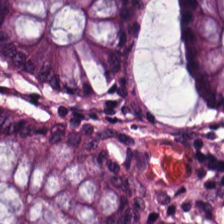224×224 px tile · H&E stain.
Q: What does this patch show?
A: The field shows benign colonic mucosa.
